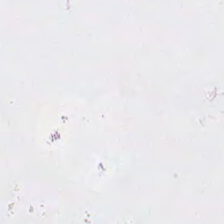Stain: H&E-stained tissue section.
Field content: background.
